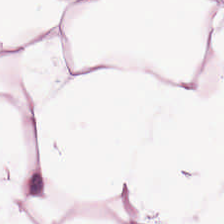Hematoxylin-and-eosin section: adipose.
